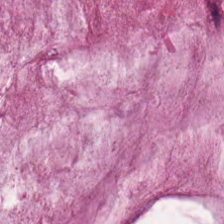Hematoxylin and eosin — Finding → mucus.
